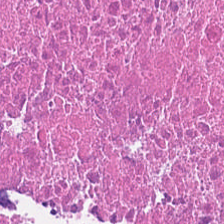Stain: H&E.
Resolution: 0.5 µm/px.
Tissue class: necrotic debris.
